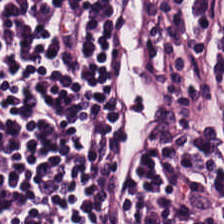Stain: H&E-stained tissue section.
Tissue: lymphocyte aggregate.
